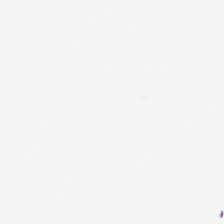H&E stain; whole-slide-image patch; 20× equivalent magnification.
Finding — background.
